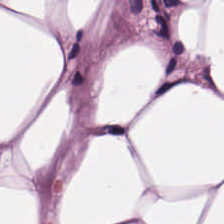Fat tissue.
